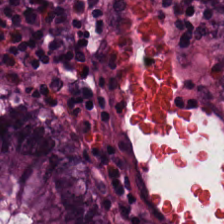Histology → normal colon mucosa.
